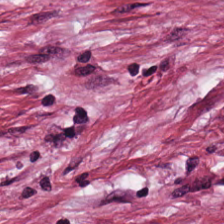Q: What tissue is shown?
A: This is tumor stroma.
